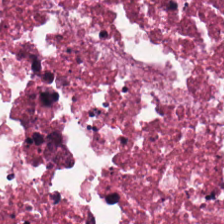Finding — cellular debris.
